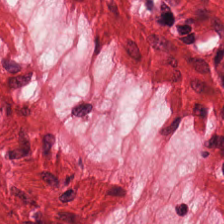Hematoxylin and eosin.
This field is smooth muscle.
